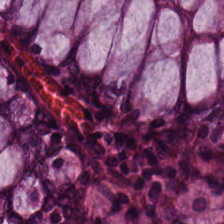Predominant tissue — benign colonic mucosa.
